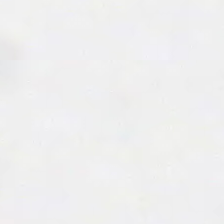Stain: H&E stain.
Tile size: 224×224 px patch.
Field content: no tissue.
